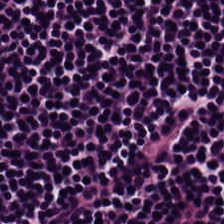Predominant tissue = lymphocytes.
